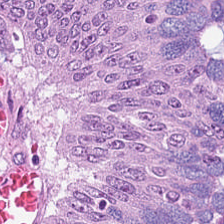Hematoxylin and eosin — Q: Classify this patch.
A: This is colorectal adenocarcinoma epithelium.
